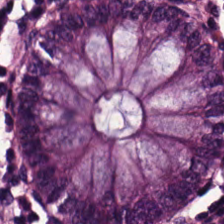Hematoxylin-and-eosin stained section.
Q: Classify this patch.
A: This is benign colonic mucosa.
